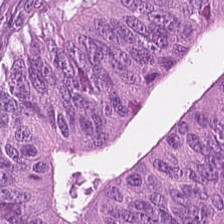Colorectal adenocarcinoma.
